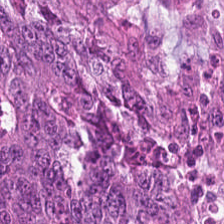FFPE · hematoxylin-and-eosin stained section. Showing adenocarcinoma.
